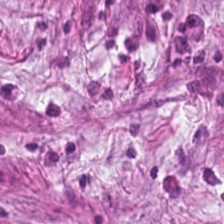Hematoxylin and eosin. The predominant tissue is cancer-associated stroma.
